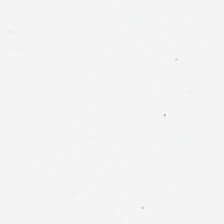Hematoxylin and eosin — Classification = background (no tissue).
